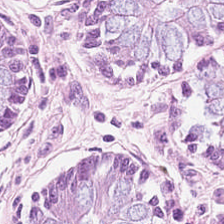Stain: hematoxylin-and-eosin stained section.
Acquisition: brightfield microscopy.
Tissue type: normal colonic mucosa.
